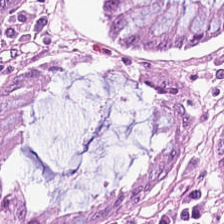Predominant tissue — normal colonic mucosa.
